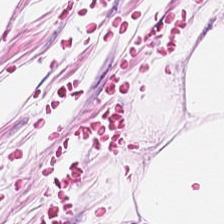0.5 µm/px; H&E.
The predominant tissue is adipocytes.
